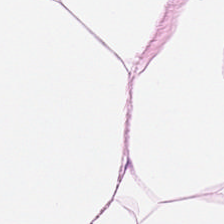Hematoxylin-and-eosin stained section.
{"tissue_type": "adipocytes"}
